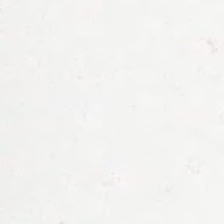Background (no tissue).
